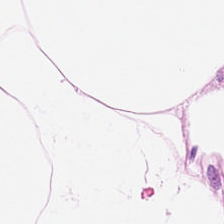H&E. Tissue type = adipose tissue.
